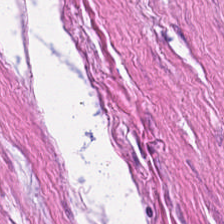Finding — smooth-muscle tissue.
